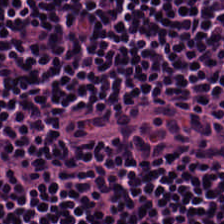Hematoxylin-and-eosin stained section · FFPE tissue section. Finding → lymphoid infiltrate.
